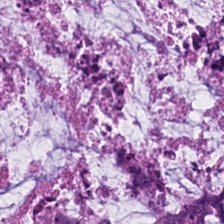H&E-stained tissue section — The tissue class is mucin.
